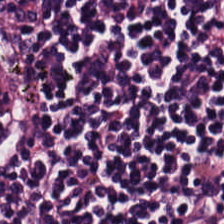Tissue: lymphocyte aggregate.
